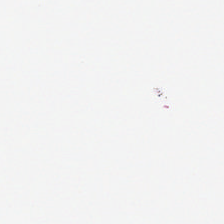H&E stain. Classification — background (no tissue).
